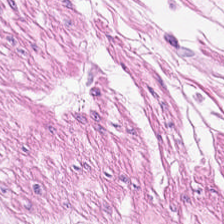The predominant tissue is smooth-muscle tissue.
